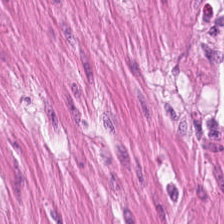FFPE tissue section. H&E stain — The classification is smooth muscle.
